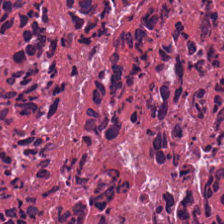Hematoxylin-and-eosin stained section. Showing cellular debris.
